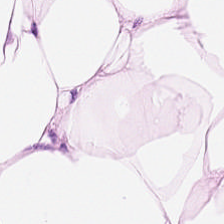Q: Identify the tissue.
A: Adipose tissue.
